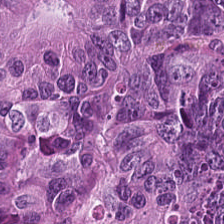Predominant tissue = colorectal adenocarcinoma.
